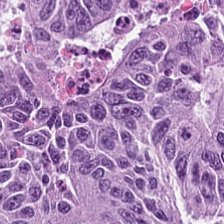0.5 µm/px. Hematoxylin and eosin. 224×224 px tile. The tissue here is adenocarcinoma.
